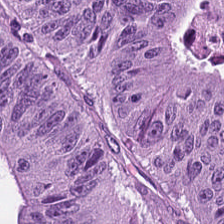Stain: H&E-stained tissue section.
Classification: malignant epithelium.
